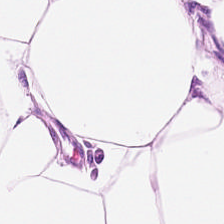Finding — adipose tissue.
